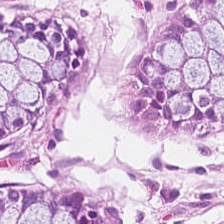Q: What type of tissue is this?
A: The field shows non-neoplastic colon mucosa.
